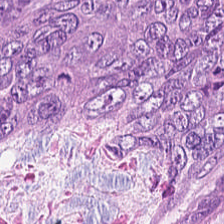Hematoxylin and eosin — {"tissue_type": "adenocarcinoma"}
